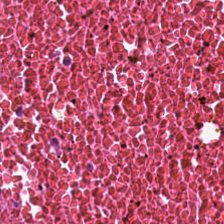H&E — Necrotic debris.
